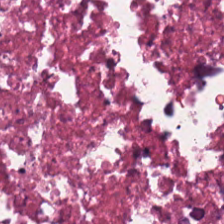WSI patch. H&E. 224×224 px patch. The classification is cellular debris.
